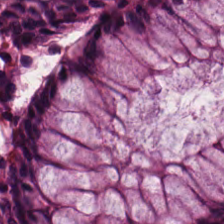H&E · 0.5 microns per pixel.
Tissue — normal colonic mucosa.
